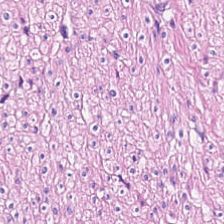Stain: H&E.
Resolution: 20× equivalent magnification.
Tile size: 224×224 pixel tile.
Tissue class: muscularis.
